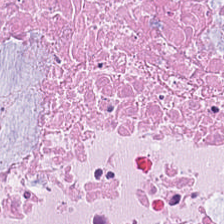Hematoxylin and eosin; brightfield microscopy.
Classification = necrotic debris.
